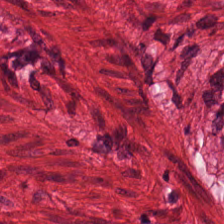Hematoxylin and eosin — Predominantly muscularis.
